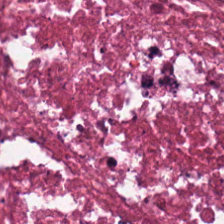H&E stain. Tissue class = debris.
